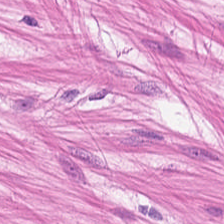Stain: hematoxylin and eosin.
Preparation: FFPE tissue section.
Tissue class: smooth-muscle tissue.
